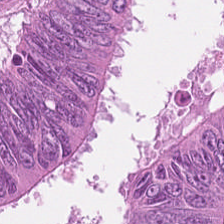H&E-stained tissue section — Predominantly adenocarcinoma.
